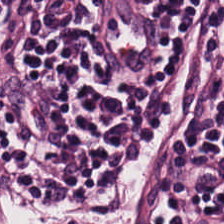Hematoxylin and eosin. Predominant tissue — lymphocyte aggregate.
